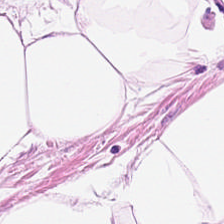Hematoxylin-and-eosin stained section — Histology — adipocytes.
